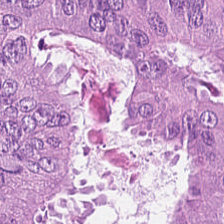Tissue class — tumor epithelium.
